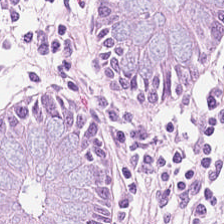H&E stain.
{"tissue_type": "non-neoplastic colon mucosa"}
